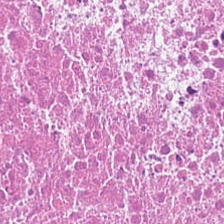Hematoxylin-and-eosin stained section · 224×224 pixel tile — Cellular debris.
